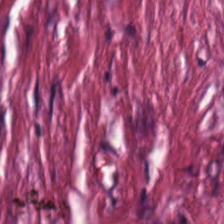Classification — desmoplastic stroma.
